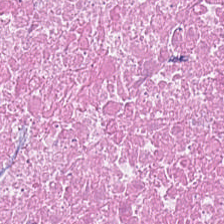Stain: H&E-stained tissue section.
Resolution: 20× equivalent magnification.
Tissue type: debris.
